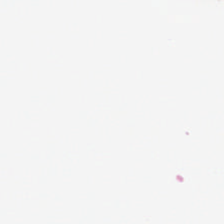Q: What is shown in this field?
A: Background.
